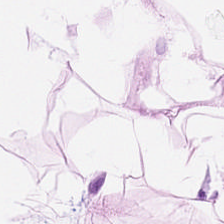{"tissue_type": "adipose tissue"}
